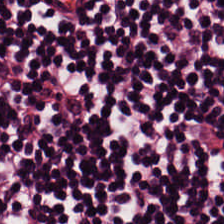Stain: H&E.
Classification: lymphocytes.
